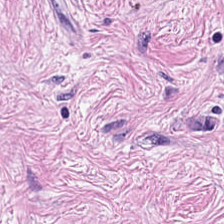H&E stain; 224×224 px patch. {"tissue_type": "tumor-associated stroma"}
